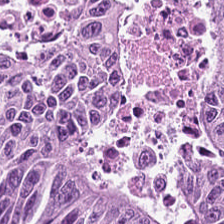H&E. Malignant epithelium.
